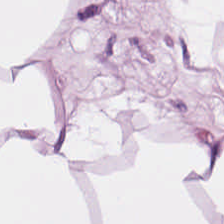Hematoxylin and eosin; 0.5 µm per pixel. Q: What type of tissue is this?
A: This is adipose tissue.
